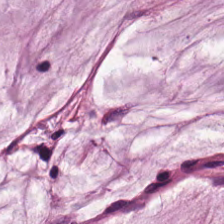Hematoxylin and eosin · brightfield. Predominant tissue — mucus.
